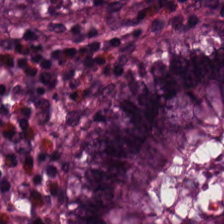Hematoxylin and eosin · 224×224 pixel tile · WSI patch. Impression → normal colon mucosa.
